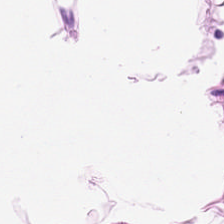Stain: hematoxylin and eosin.
Classification: fat tissue.
